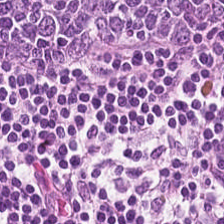Formalin-fixed paraffin-embedded section; hematoxylin-and-eosin stained section. Lymphocyte aggregate.
